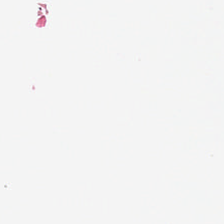Hematoxylin-and-eosin stained section · 0.5 microns per pixel. Background — no tissue in this field.
